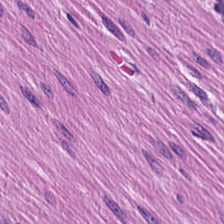H&E. Impression — smooth-muscle tissue.
